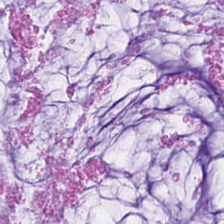Hematoxylin-and-eosin stained section · 224×224 pixel tile · 0.5 microns per pixel — Finding — mucus.
